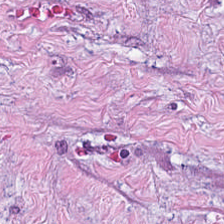H&E-stained tissue section · 0.5 microns per pixel. Tissue class = desmoplastic stroma.
